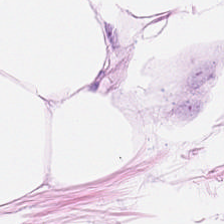Finding — adipose.
